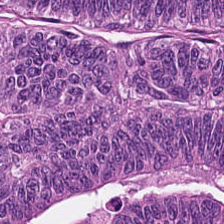FFPE; H&E-stained tissue section — Predominantly adenocarcinoma.
